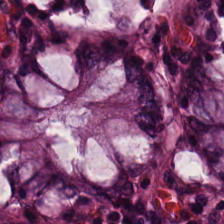H&E.
The tissue here is normal colon mucosa.
